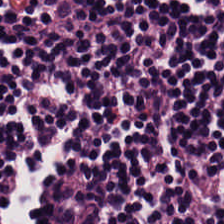H&E-stained tissue section.
Lymphocytic infiltrate.
